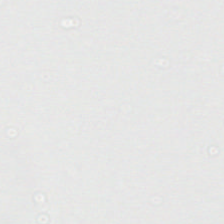Stain: H&E stain.
Classification: empty background.
